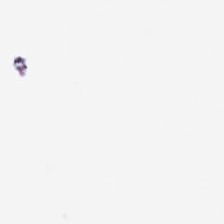Q: What is shown here?
A: The field shows no tissue.
